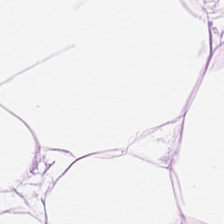0.5 µm per pixel · 224×224 pixel tile · hematoxylin and eosin — Q: What does this patch show?
A: This is fat tissue.
